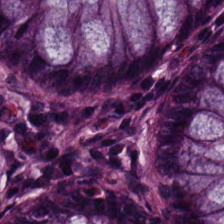The predominant tissue is normal colon mucosa.
